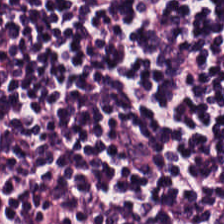H&E stain; 224×224 px tile.
Predominantly lymphocytic infiltrate.
